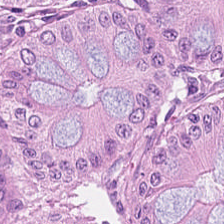H&E-stained tissue section.
{"tissue_type": "non-neoplastic colon mucosa"}
